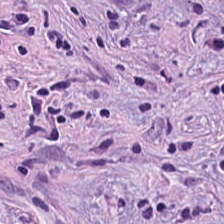Hematoxylin-and-eosin stained section; 224×224 px patch — Classification = tumor-associated stroma.
